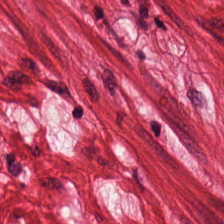224×224 pixel tile · H&E-stained tissue section — Q: What is shown in this field?
A: It is smooth-muscle tissue.
